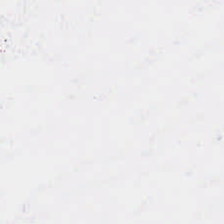H&E.
{"content": "background"}
